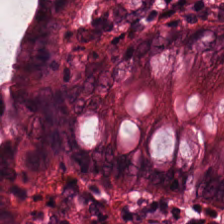Stain: H&E stain.
Tissue: non-neoplastic colon mucosa.
